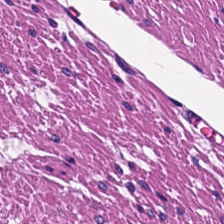H&E stain.
Q: What is the predominant tissue type?
A: This is smooth muscle.
